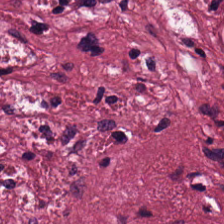Stain: hematoxylin-and-eosin stained section.
Resolution: 0.5 µm per pixel.
Acquisition: WSI patch.
Tissue type: tumor stroma.
